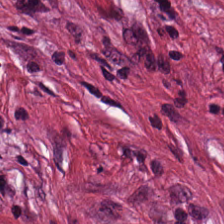Whole-slide-image patch; 0.5 µm per pixel; H&E.
Q: What tissue is shown?
A: It is tumor stroma.
